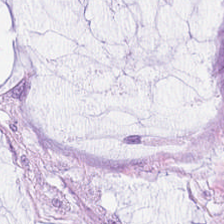Impression → mucus.
